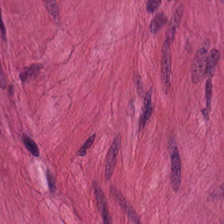224×224 px tile. Whole-slide-image patch. H&E stain. Classification = smooth muscle.
